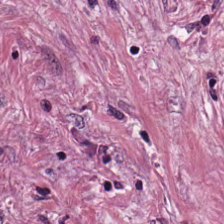The predominant tissue is tumor stroma.
